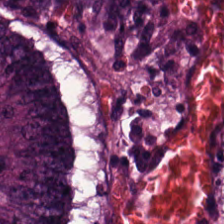This field is colorectal adenocarcinoma.
